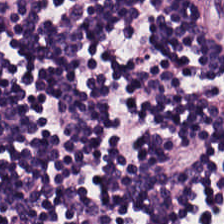224×224 pixel tile · 0.5 microns per pixel · H&E. {"tissue_type": "lymphoid infiltrate"}
